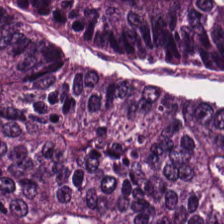H&E-stained tissue section. Whole-slide-image patch. Tissue type = malignant epithelium.
